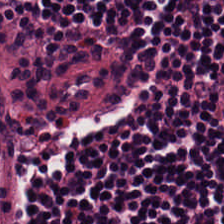Hematoxylin and eosin; 0.5 microns per pixel.
Lymphoid infiltrate.
